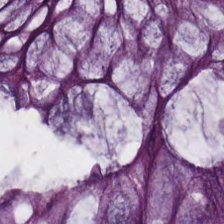H&E stain. This patch shows normal colon mucosa.
